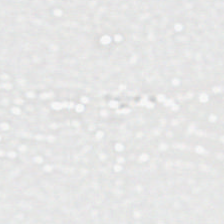Stain: H&E-stained tissue section.
Field content: background (no tissue).
